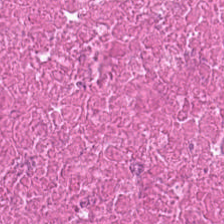Stain: H&E.
Tissue class: debris.
